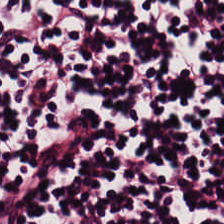Brightfield microscopy · H&E-stained tissue section — Q: What tissue type is shown here?
A: Lymphocytic infiltrate.
